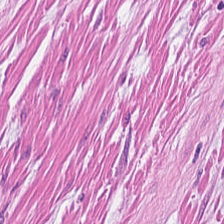H&E stain.
Tissue — smooth muscle.
